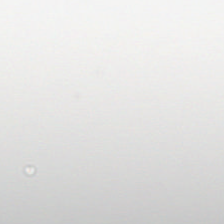Q: Classify this patch.
A: Empty background.
